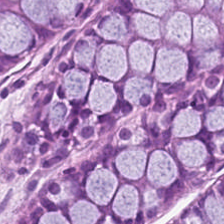H&E-stained tissue section.
Predominant tissue = normal colon mucosa.
